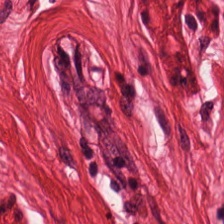0.5 µm/px; hematoxylin and eosin; WSI patch. Q: Identify the tissue.
A: This is smooth-muscle tissue.
